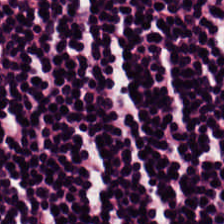H&E. Q: Identify the tissue.
A: It is lymphoid infiltrate.
